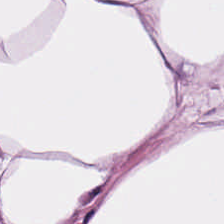Hematoxylin-and-eosin stained section. The predominant tissue is adipocytes.
